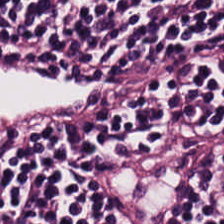Hematoxylin-and-eosin stained section.
Predominant tissue = lymphocytes.
